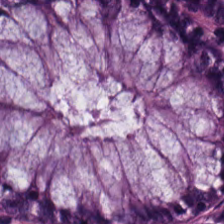Predominant tissue = non-neoplastic colon mucosa.
